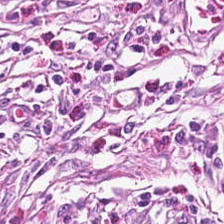H&E-stained tissue section — Predominant tissue: tumor stroma.
